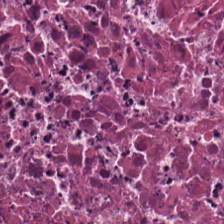The predominant tissue is necrotic debris.
